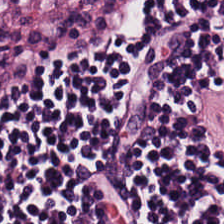Predominant tissue — lymphoid infiltrate.
